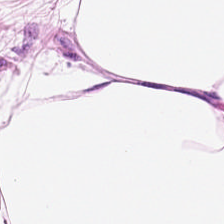Hematoxylin-and-eosin stained section. 20× equivalent magnification. The predominant tissue is fat tissue.
